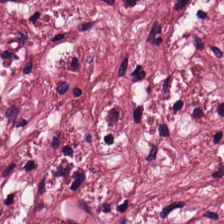Hematoxylin and eosin.
Tumor-associated stroma.
